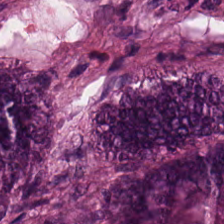Stain: H&E-stained tissue section.
Classification: adenocarcinoma.
